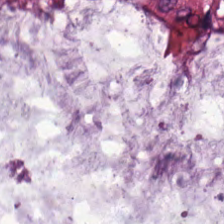Whole-slide-image patch · H&E · 20× equivalent magnification.
Histology — mucus.
